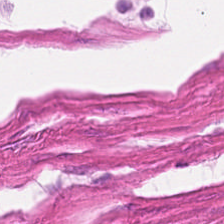H&E stain; WSI patch.
Classification = smooth muscle.
